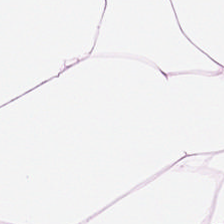Hematoxylin-and-eosin stained section — {"tissue_type": "adipocytes"}
